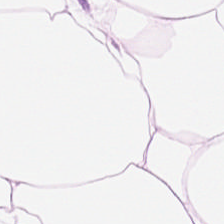FFPE; 224×224 px patch; hematoxylin-and-eosin stained section — Q: Classify this patch.
A: The field shows adipose tissue.
